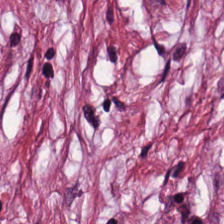Classification: tumor-associated stroma.
